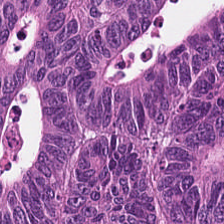H&E — Finding — colorectal adenocarcinoma epithelium.
